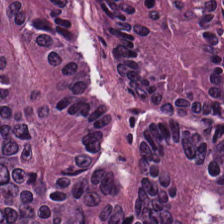The tissue type is adenocarcinoma.
